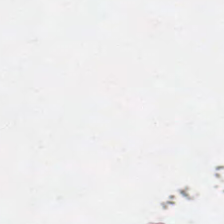Stain: hematoxylin-and-eosin stained section.
Classification: background (no tissue).
